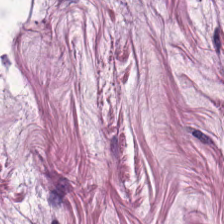Hematoxylin and eosin — Q: Identify the tissue.
A: It is muscularis.
